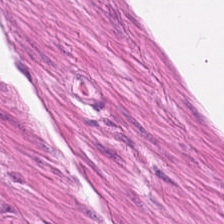Hematoxylin-and-eosin stained section — Q: What tissue type is shown here?
A: Smooth muscle.
